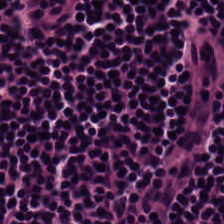Stain: H&E-stained tissue section.
Preparation: FFPE tissue section.
Acquisition: whole-slide-image patch.
Predominant tissue: lymphocytes.
